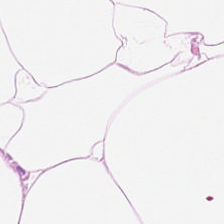H&E-stained tissue section — Q: What tissue is shown?
A: Adipose tissue.
